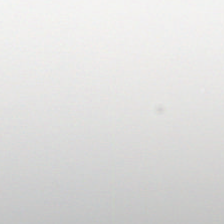Background — no tissue in this field.
